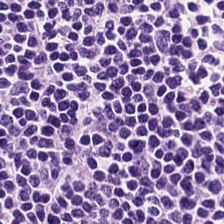Formalin-fixed paraffin-embedded section; hematoxylin-and-eosin stained section.
The tissue type is lymphocytic infiltrate.
